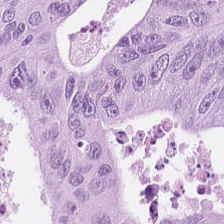The tissue here is malignant epithelium.
